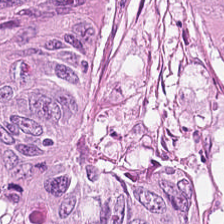224×224 pixel tile · H&E-stained tissue section · FFPE tissue section.
This patch shows colorectal adenocarcinoma.
